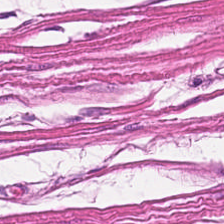Histology — smooth-muscle tissue.
